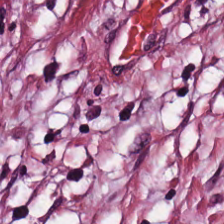Hematoxylin-and-eosin stained section — The predominant tissue is tumor stroma.
